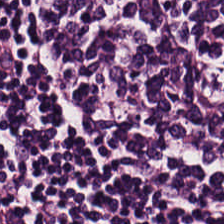H&E-stained tissue section · 0.5 microns per pixel. Tissue: lymphocytes.
